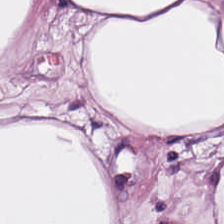H&E stain. {"tissue_type": "adipocytes"}
